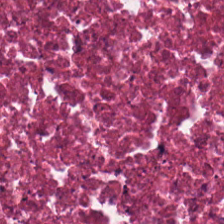H&E-stained tissue section.
Q: Identify the tissue.
A: The field shows debris.
